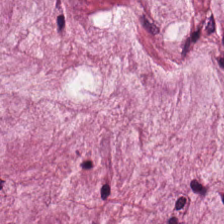Stain: hematoxylin and eosin.
Tissue class: mucus.
